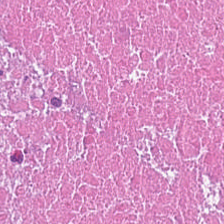FFPE; H&E stain; 20× equivalent magnification — This patch shows cellular debris.
